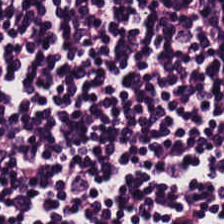Stain: H&E.
Classification: lymphoid infiltrate.
